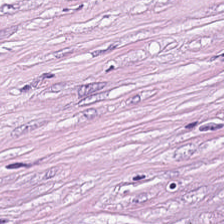Tumor-associated stroma.
